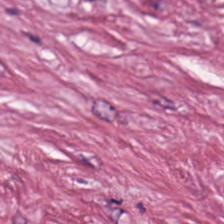Hematoxylin and eosin.
Classification — tumor-associated stroma.
